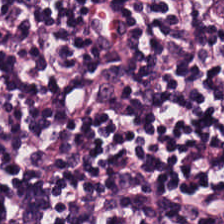Stain: H&E-stained tissue section.
Tissue type: lymphocyte aggregate.
